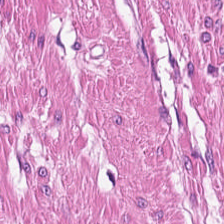H&E. 0.5 µm/px.
Histology → smooth-muscle tissue.
